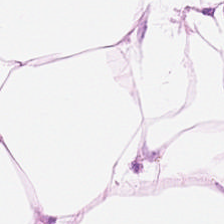224×224 px tile. FFPE tissue section. H&E-stained tissue section. Q: What is shown in this field?
A: It is fat tissue.
